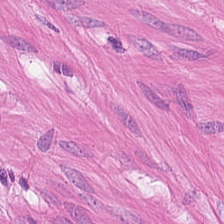Hematoxylin and eosin. Tissue class = smooth muscle.
